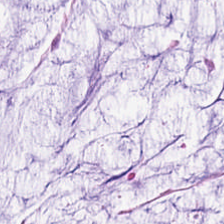Stain: hematoxylin and eosin.
Tissue: extracellular mucin.
